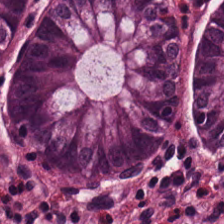The predominant tissue is non-neoplastic colon mucosa.
